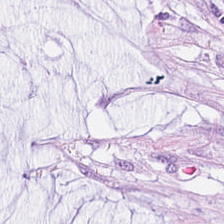H&E-stained tissue section · 20× equivalent magnification.
The tissue class is extracellular mucin.
